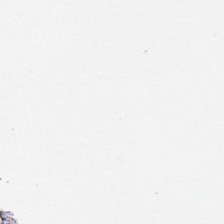H&E stain · FFPE tissue section. This patch shows empty background.
